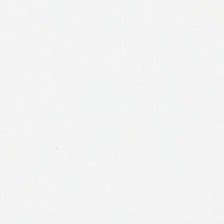Hematoxylin and eosin. Field content — background (no tissue).
